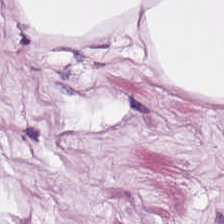Hematoxylin and eosin. 0.5 µm/px. 224×224 px tile. {"tissue_type": "adipose"}
